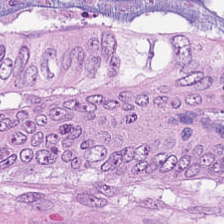Stain: H&E.
Predominant tissue: colorectal adenocarcinoma epithelium.
